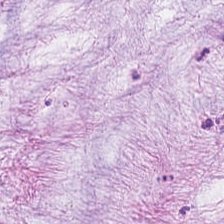Hematoxylin-and-eosin stained section. Tissue type = mucus.
